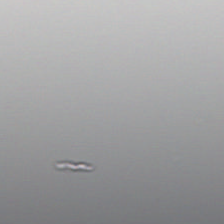Q: What is shown here?
A: This is empty background.
